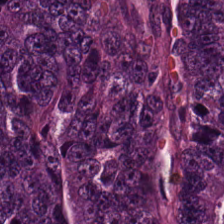Hematoxylin-and-eosin stained section.
This field is adenocarcinoma.
